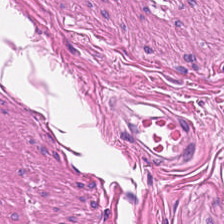H&E. {"tissue_type": "smooth-muscle tissue"}
